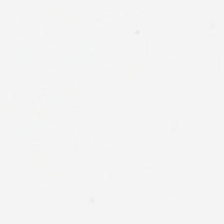224×224 px patch. 0.5 µm/px. H&E stain. Q: What is shown in this field?
A: It is no tissue.
